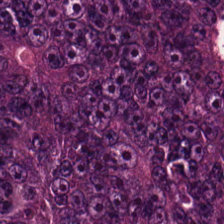Hematoxylin and eosin — Tissue: colorectal adenocarcinoma.
